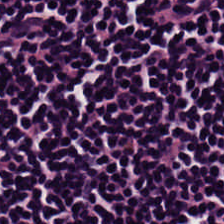H&E — This patch shows lymphocyte aggregate.
